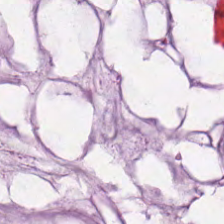This patch shows mucus.
